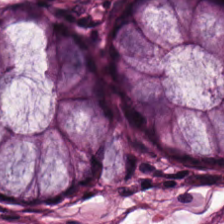Hematoxylin-and-eosin stained section — The predominant tissue is normal colon mucosa.
